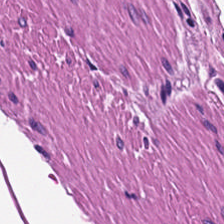Hematoxylin and eosin · brightfield.
Q: What is shown here?
A: This is smooth muscle.
